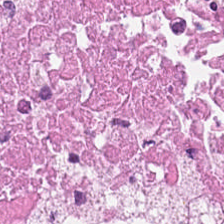H&E stain.
This field is debris.
